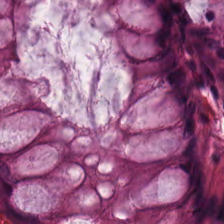Brightfield microscopy · hematoxylin and eosin · 0.5 microns per pixel — The tissue here is normal colonic mucosa.
